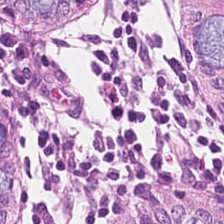H&E stain — Finding → normal colonic mucosa.
